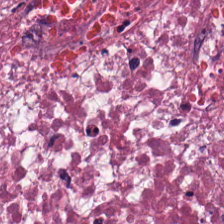Predominantly debris.
